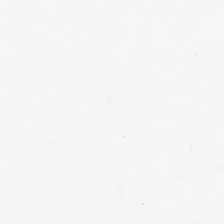H&E · 224×224 pixel tile. Background (no tissue).
